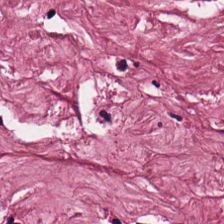Stain: H&E.
Tissue: tumor stroma.
